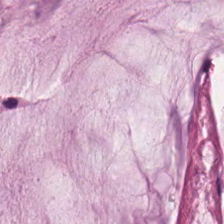Stain: H&E stain.
Tissue type: mucus.
